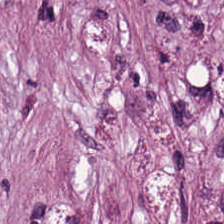20× equivalent magnification; hematoxylin and eosin.
Predominantly desmoplastic stroma.
